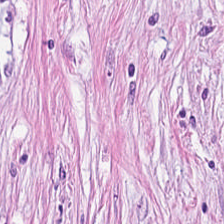Hematoxylin-and-eosin stained section.
Q: What is shown here?
A: The field shows cancer-associated stroma.
